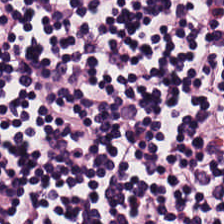Formalin-fixed paraffin-embedded section · H&E-stained tissue section. The tissue here is lymphocyte aggregate.
